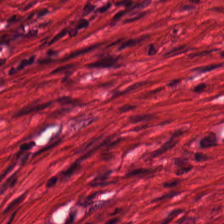0.5 µm per pixel. Brightfield microscopy. Hematoxylin and eosin. The tissue here is muscularis.
